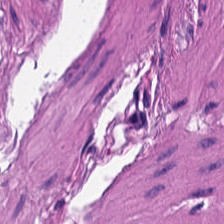FFPE tissue section · hematoxylin-and-eosin stained section. Q: Classify this patch.
A: This is smooth-muscle tissue.
